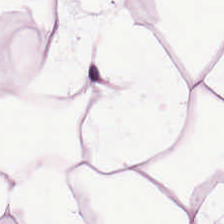Hematoxylin-and-eosin stained section — Predominant tissue: adipose.
